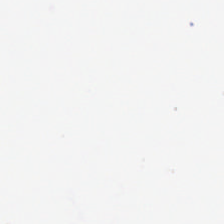H&E stain.
Impression → empty background.
